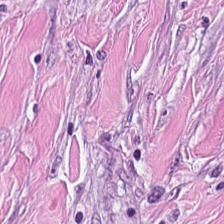H&E stain. 224×224 px patch.
Q: What is the predominant tissue type?
A: This is desmoplastic stroma.
